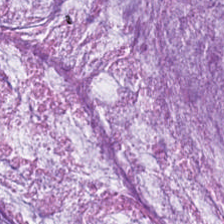H&E stain; FFPE; 20× equivalent magnification. Finding → extracellular mucin.
